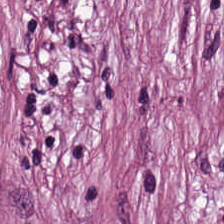Hematoxylin and eosin — Classification — desmoplastic stroma.
